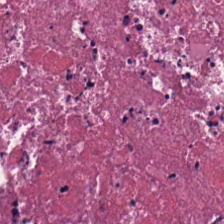Hematoxylin-and-eosin stained section. Cellular debris.
